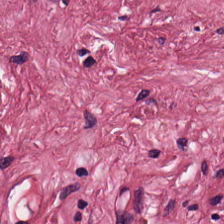Stain: hematoxylin and eosin.
Tissue type: cancer-associated stroma.
